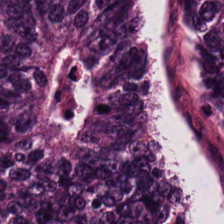H&E stain.
This patch shows colorectal adenocarcinoma.
